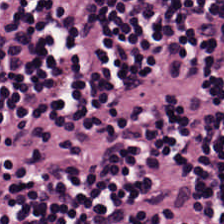H&E stain.
The tissue here is lymphoid infiltrate.
